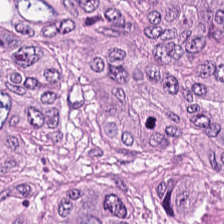Brightfield. Hematoxylin and eosin. FFPE tissue section.
Malignant epithelium.
